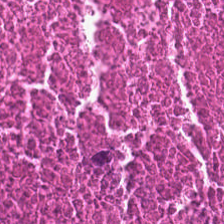Stain: H&E-stained tissue section.
Preparation: formalin-fixed paraffin-embedded section.
Tile size: 224×224 px patch.
Classification: necrotic debris.
